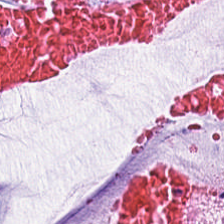Hematoxylin and eosin — Classification — extracellular mucin.
